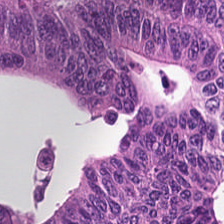H&E stain.
Finding → adenocarcinoma.
